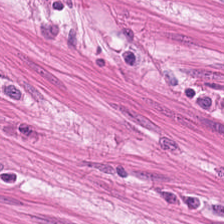224×224 pixel tile; H&E; FFPE tissue section. The predominant tissue is smooth-muscle tissue.
